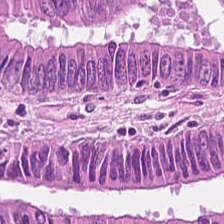224×224 px tile; H&E stain; 20× equivalent magnification — The predominant tissue is malignant epithelium.
